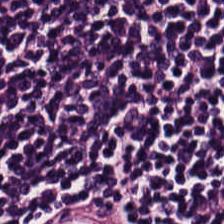Stain: H&E.
Predominant tissue: lymphoid infiltrate.
